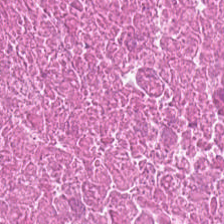Classification — cellular debris.
